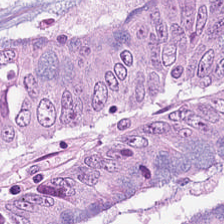H&E-stained tissue section — Histology → colorectal adenocarcinoma epithelium.
